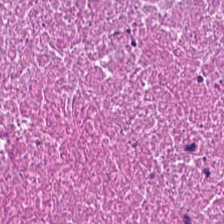Hematoxylin and eosin — Q: What type of tissue is this?
A: It is cellular debris.
